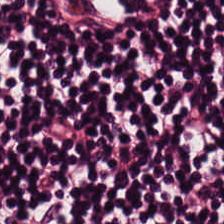H&E-stained tissue section. Lymphocytes.
